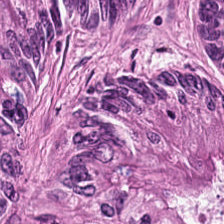0.5 µm/px. FFPE tissue section. H&E-stained tissue section — Q: What is the predominant tissue type?
A: This is tumor epithelium.
